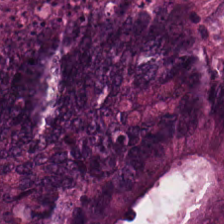H&E stain.
The tissue here is malignant epithelium.
